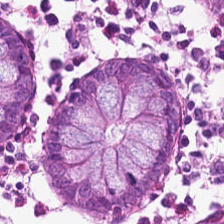Stain: H&E-stained tissue section.
Tissue: non-neoplastic colon mucosa.
